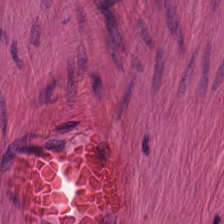Stain: H&E-stained tissue section.
Resolution: 0.5 microns per pixel.
Preparation: FFPE.
Classification: muscularis.
